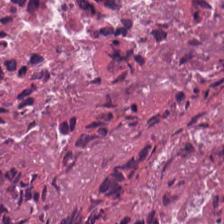H&E.
Showing necrotic debris.
